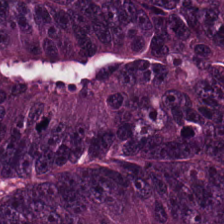0.5 µm/px · hematoxylin and eosin.
Predominantly adenocarcinoma.
